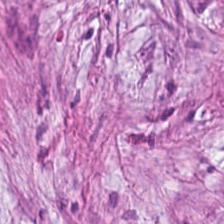Hematoxylin-and-eosin stained section. FFPE tissue section. 224×224 px patch. This field is cancer-associated stroma.
